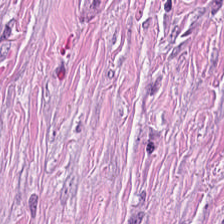Predominant tissue — tumor-associated stroma.
